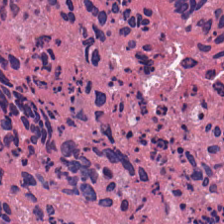H&E-stained tissue section. 224×224 pixel tile. Whole-slide-image patch — Q: What tissue is shown?
A: It is debris.
